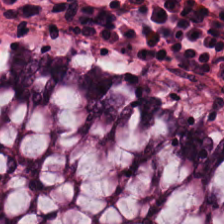Hematoxylin-and-eosin stained section — Q: Classify this patch.
A: The field shows normal colonic mucosa.
